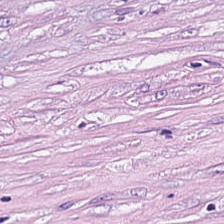The tissue class is tumor-associated stroma.
